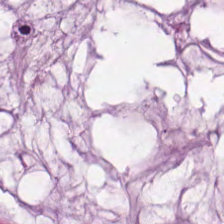H&E — extracellular mucin.
